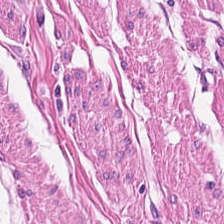Hematoxylin-and-eosin stained section — Finding → smooth-muscle tissue.
